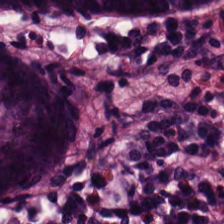Non-neoplastic colon mucosa.
